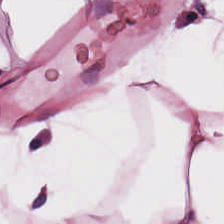FFPE; H&E-stained tissue section. This patch shows adipocytes.
